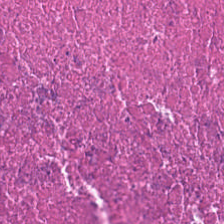Hematoxylin-and-eosin stained section; whole-slide-image patch; formalin-fixed paraffin-embedded section — Q: What type of tissue is this?
A: Necrotic debris.
